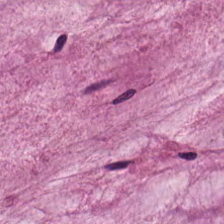Hematoxylin-and-eosin section: mucus.
